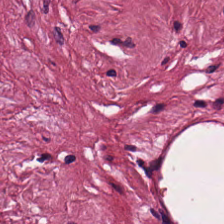Hematoxylin and eosin.
This patch shows tumor stroma.
